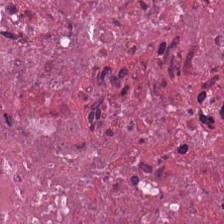H&E. Q: What tissue type is shown here?
A: Debris.
